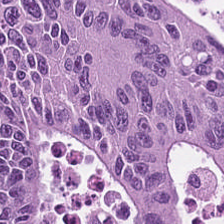H&E. Q: What tissue type is shown here?
A: It is malignant epithelium.
